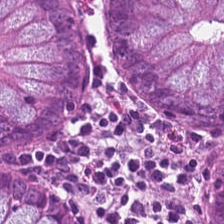H&E — Tissue type = normal colonic mucosa.
